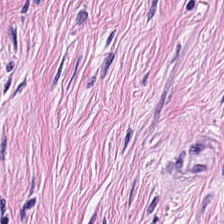Hematoxylin-and-eosin stained section — Tissue — cancer-associated stroma.
